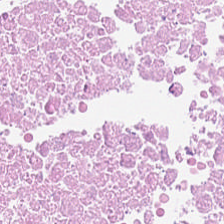H&E-stained tissue section — The tissue here is debris.
